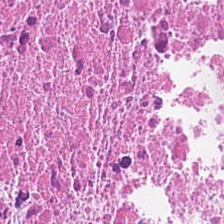H&E stain.
Tissue type — cellular debris.
